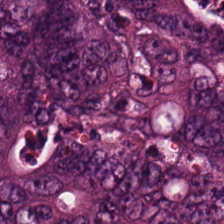20× equivalent magnification; H&E stain — {"tissue_type": "adenocarcinoma"}
